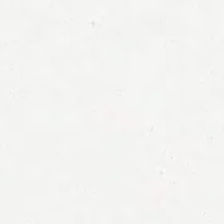Impression — empty background.
